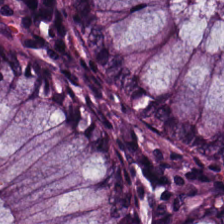Brightfield; H&E; 0.5 µm per pixel.
Predominantly non-neoplastic colon mucosa.
